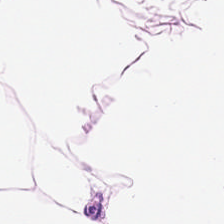0.5 microns per pixel · H&E-stained tissue section — Predominantly adipose tissue.
